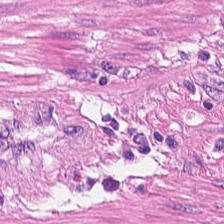H&E. 0.5 microns per pixel.
Tissue type — muscularis.
